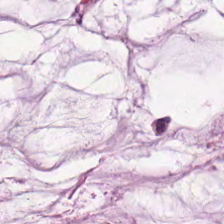Hematoxylin and eosin. The tissue class is mucus.
